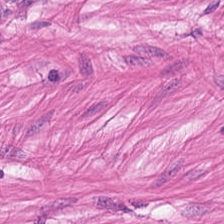H&E stain — Showing smooth-muscle tissue.
